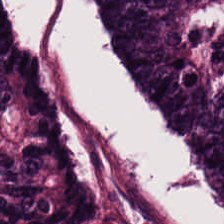Formalin-fixed paraffin-embedded section. H&E. WSI patch.
Histology — malignant epithelium.
